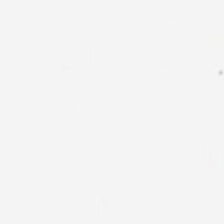This patch shows empty background.
